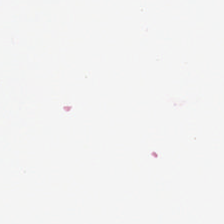Stain: H&E-stained tissue section.
Preparation: formalin-fixed paraffin-embedded section.
Field content: background.
